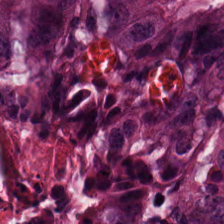Hematoxylin-and-eosin stained section — The classification is malignant epithelium.
